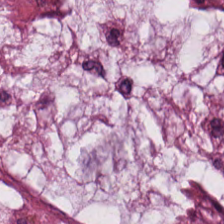Mucus.
